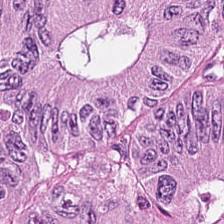Finding → tumor epithelium.
